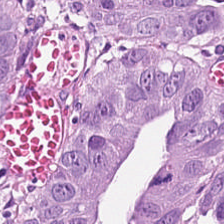H&E-stained tissue section showing malignant epithelium.
